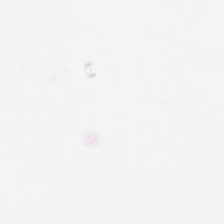224×224 px tile · 0.5 microns per pixel · H&E-stained tissue section. Background (no tissue).
